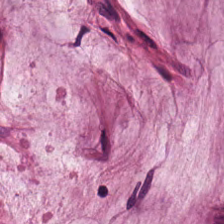H&E · 224×224 pixel tile. Tissue class: mucin.
